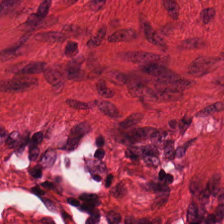Hematoxylin and eosin.
This field is smooth muscle.
